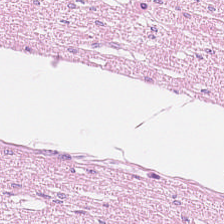Histology → smooth muscle.
